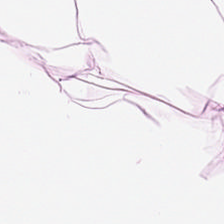Hematoxylin-and-eosin stained section.
Impression → fat tissue.
